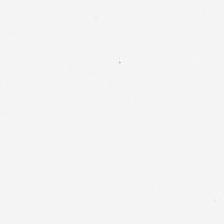H&E. {"content": "background"}
